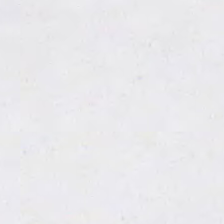H&E stain. {"content": "no tissue"}
